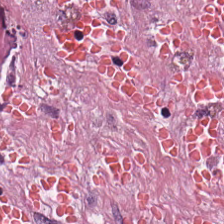H&E · WSI patch. Q: What type of tissue is this?
A: It is desmoplastic stroma.
